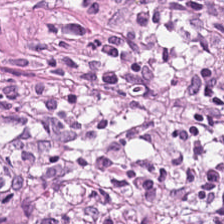Hematoxylin and eosin. Histology → tumor stroma.
